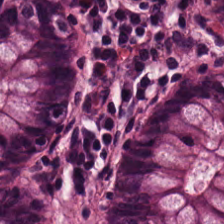0.5 µm/px; hematoxylin-and-eosin stained section. This field is normal colon mucosa.
